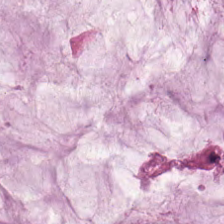H&E-stained tissue section — Predominant tissue — extracellular mucin.
